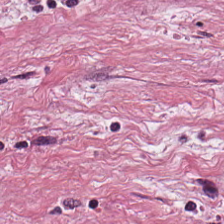H&E — tumor stroma.
